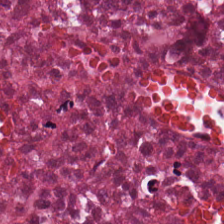Stain: hematoxylin-and-eosin stained section.
Tissue class: debris.
